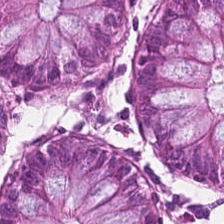Stain: hematoxylin-and-eosin stained section.
Tissue type: benign colonic mucosa.
